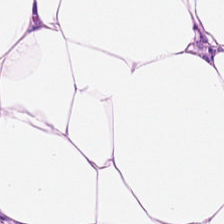Hematoxylin-and-eosin stained section.
The tissue here is adipocytes.
